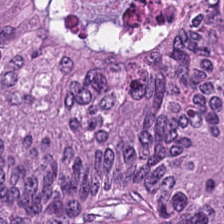FFPE. H&E-stained tissue section — This field is colorectal adenocarcinoma epithelium.
